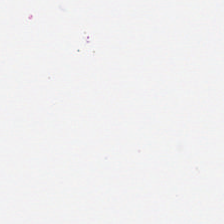H&E stain. {"content": "no tissue"}
